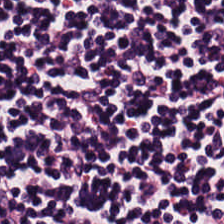Stain: hematoxylin and eosin.
Acquisition: whole-slide-image patch.
Predominant tissue: lymphocytes.
